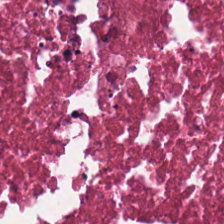Stain: H&E.
Predominant tissue: debris.
